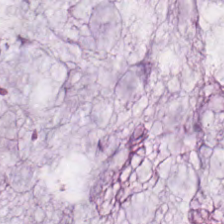H&E patch showing mucin.
